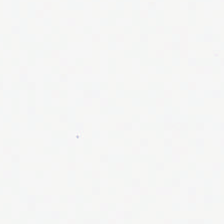H&E — This patch shows background.
